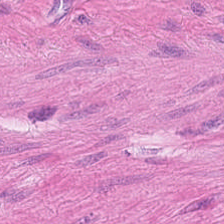Hematoxylin-and-eosin stained section.
This field is smooth-muscle tissue.
